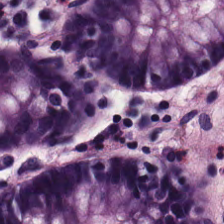Hematoxylin-and-eosin stained section; 0.5 µm per pixel. {"tissue_type": "normal colonic mucosa"}
